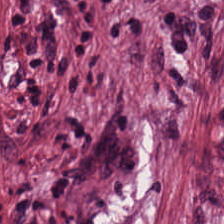FFPE; H&E — Q: What does this patch show?
A: Desmoplastic stroma.
